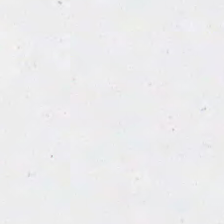Hematoxylin and eosin. {"content": "empty background"}
